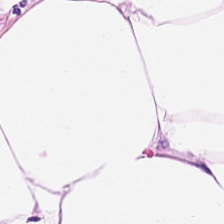Hematoxylin-and-eosin stained section — Tissue = fat tissue.
